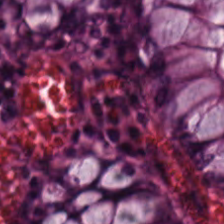Hematoxylin-and-eosin stained section. The tissue type is non-neoplastic colon mucosa.
